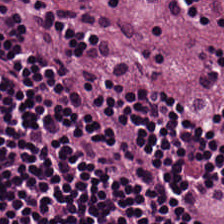224×224 px tile; WSI patch; hematoxylin-and-eosin stained section — Q: What tissue is shown?
A: The field shows lymphoid infiltrate.
